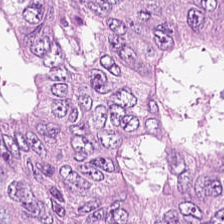Hematoxylin-and-eosin section: tumor epithelium.
